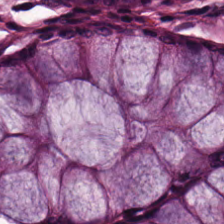This patch shows normal colon mucosa.
